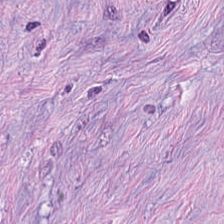Hematoxylin-and-eosin stained section — This patch shows cancer-associated stroma.
